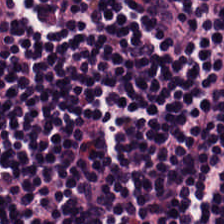H&E stain.
Q: What tissue type is shown here?
A: Lymphocytic infiltrate.
